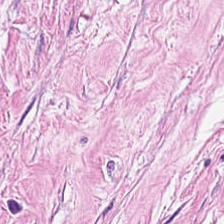Finding → tumor-associated stroma.
